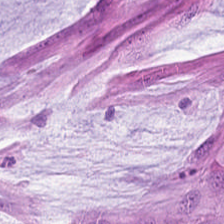Stain: H&E.
Tissue: mucin.
